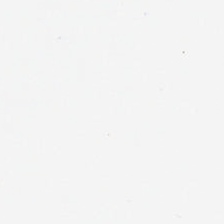224×224 pixel tile; hematoxylin-and-eosin stained section.
This field is background (no tissue).
